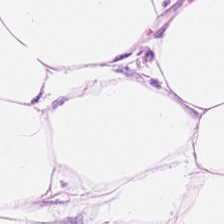Finding — adipocytes.
